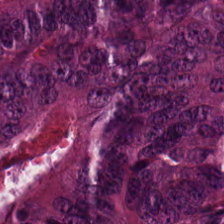H&E. Q: What tissue type is shown here?
A: The field shows colorectal adenocarcinoma.
